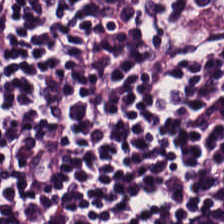H&E stain. Impression → lymphocytic infiltrate.
